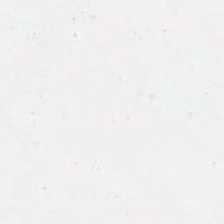Hematoxylin and eosin. Q: What does this patch show?
A: This is empty background.
